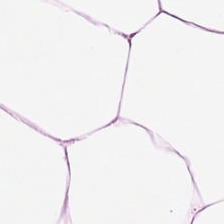Tissue type = fat tissue.
